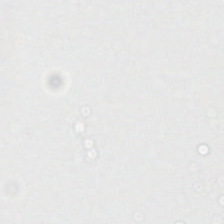WSI patch. 224×224 px tile. Hematoxylin and eosin. Field content — no tissue.
